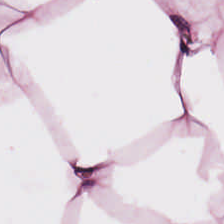H&E-stained tissue section. This field is adipose tissue.
